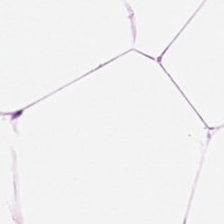Q: What is the predominant tissue type?
A: The field shows adipose.
